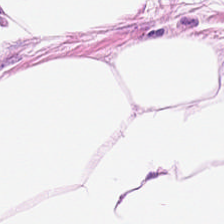224×224 px tile. H&E. The predominant tissue is fat tissue.
